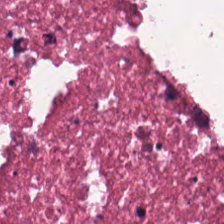FFPE; H&E.
Q: What does this patch show?
A: The field shows debris.
